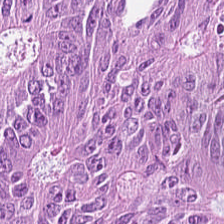H&E. Q: Classify this patch.
A: This is malignant epithelium.
